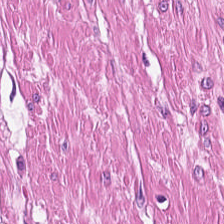Hematoxylin and eosin — Classification = smooth muscle.
